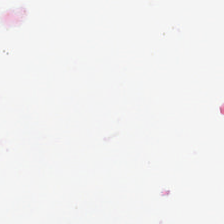Q: What is shown here?
A: This is no tissue.
